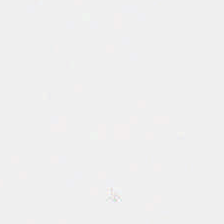H&E stain.
Content: empty background.
